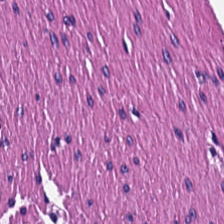Hematoxylin-and-eosin stained section — Showing smooth-muscle tissue.
